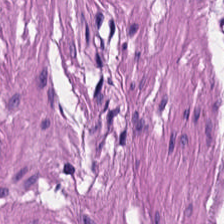H&E. This field is smooth muscle.
